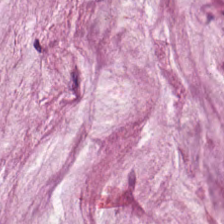Classification — mucin.
